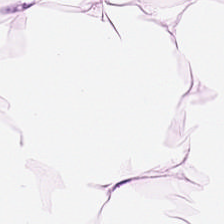0.5 µm per pixel; H&E stain — This field is adipocytes.
